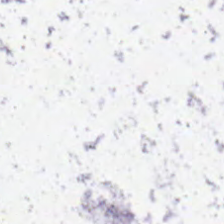Hematoxylin and eosin. 0.5 microns per pixel. FFPE.
Classification: background (no tissue).
